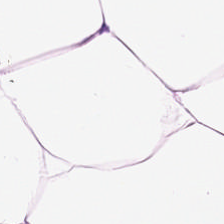FFPE tissue section · H&E-stained tissue section · 0.5 µm/px. Q: What type of tissue is this?
A: It is adipocytes.
